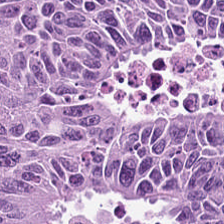0.5 µm/px · hematoxylin-and-eosin stained section · brightfield microscopy.
{"tissue_type": "adenocarcinoma"}
